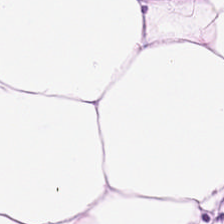Brightfield. Hematoxylin-and-eosin stained section — Q: What is the predominant tissue type?
A: This is adipose tissue.
